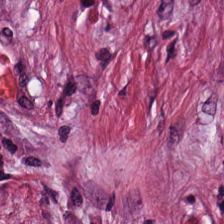Stain: H&E.
Resolution: 0.5 µm/px.
Predominant tissue: desmoplastic stroma.
